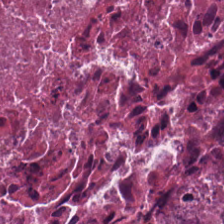H&E-stained tissue section. Whole-slide-image patch. This patch shows cellular debris.
